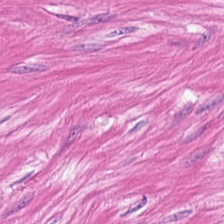Stain: H&E-stained tissue section.
Preparation: FFPE.
Acquisition: WSI patch.
Predominant tissue: smooth-muscle tissue.
